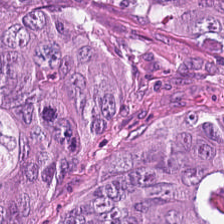Hematoxylin and eosin.
Finding — adenocarcinoma.
